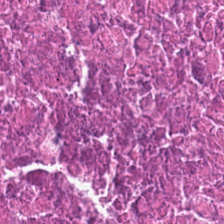Stain: H&E stain.
Tissue type: cellular debris.
